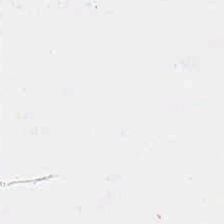Hematoxylin and eosin. Q: What does this patch show?
A: Background.
